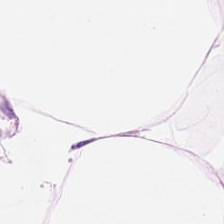Hematoxylin-and-eosin stained section — {"tissue_type": "fat tissue"}
